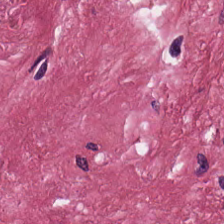H&E-stained tissue section. Q: What tissue is shown?
A: This is tumor-associated stroma.
